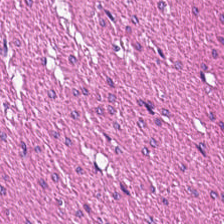H&E stain — Predominant tissue = smooth-muscle tissue.
